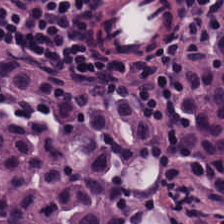Tissue class — lymphoid infiltrate.
